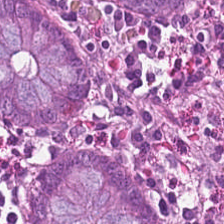H&E stain. The tissue is normal colon mucosa.
